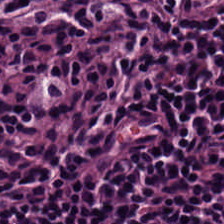Formalin-fixed paraffin-embedded section · H&E — This field is lymphoid infiltrate.
